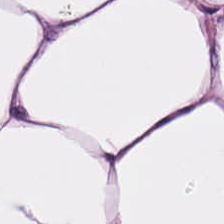H&E-stained tissue section. Adipocytes.
